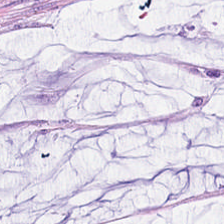Hematoxylin and eosin.
This field is mucus.
